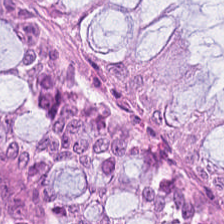H&E-stained tissue section. Finding — normal colonic mucosa.
